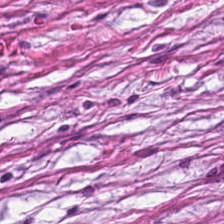Hematoxylin and eosin. 0.5 µm per pixel. Tissue type = tumor stroma.
